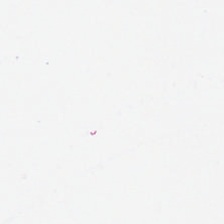H&E-stained tissue section — Background.
